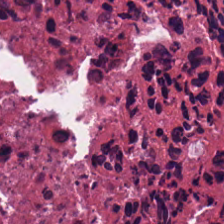H&E.
Necrotic debris.
